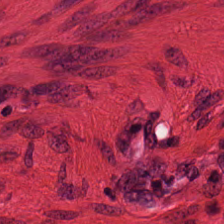Stain: H&E.
Tissue type: smooth muscle.
